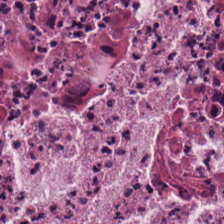H&E.
Q: What tissue type is shown here?
A: The field shows necrotic debris.
